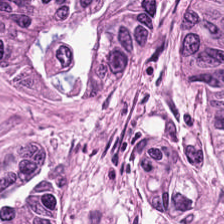H&E-stained tissue section. 224×224 pixel tile — Q: Identify the tissue.
A: Colorectal adenocarcinoma epithelium.
